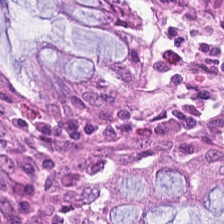Stain: hematoxylin-and-eosin stained section.
Tissue type: benign colonic mucosa.
